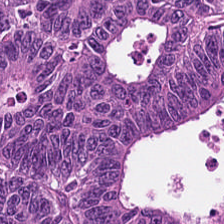Hematoxylin and eosin. Q: What does this patch show?
A: Colorectal adenocarcinoma epithelium.
